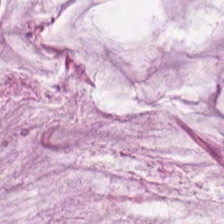224×224 pixel tile; H&E-stained tissue section. Q: What tissue is shown?
A: It is mucin.
